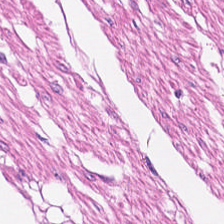This patch shows smooth-muscle tissue.
